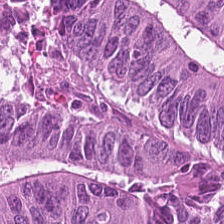H&E. This patch shows malignant epithelium.
